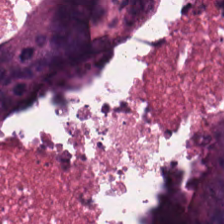H&E-stained tissue section — Finding — debris.
